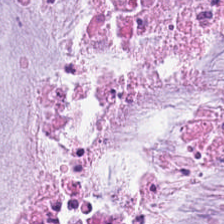Stain: hematoxylin-and-eosin stained section.
Resolution: 0.5 µm/px.
Predominant tissue: mucin.
